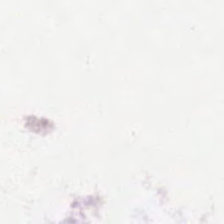H&E.
Q: What does this patch show?
A: It is background (no tissue).
